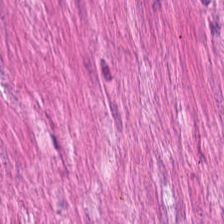Stain: H&E-stained tissue section.
Tissue type: smooth-muscle tissue.
